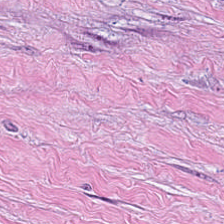H&E-stained tissue section. Brightfield. Tumor stroma.
